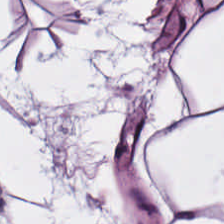Hematoxylin-and-eosin section: fat tissue.
